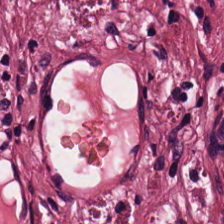Q: What tissue is shown?
A: Cancer-associated stroma.
